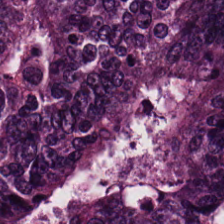H&E — Finding → colorectal adenocarcinoma.
